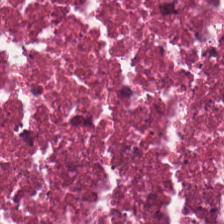Stain: H&E.
Predominant tissue: debris.
